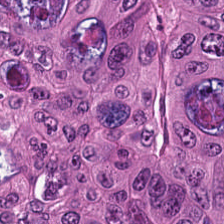Stain: H&E stain.
Tissue type: tumor epithelium.
